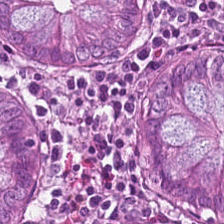H&E stain — Classification — normal colon mucosa.
